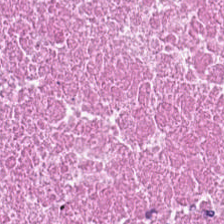Stain: hematoxylin and eosin.
Classification: necrotic debris.
